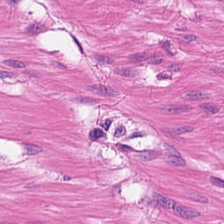Q: What type of tissue is this?
A: The field shows smooth-muscle tissue.
